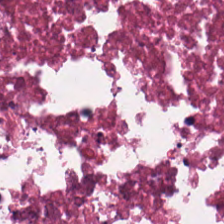H&E — This patch shows necrotic debris.
